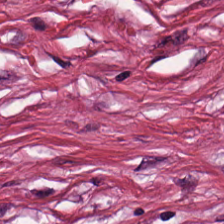Hematoxylin-and-eosin section: tumor-associated stroma.
